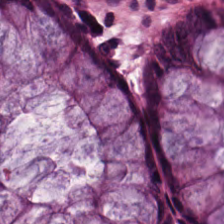This field is normal colonic mucosa.
